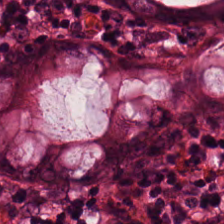H&E stain.
Q: What is shown here?
A: The field shows normal colonic mucosa.
